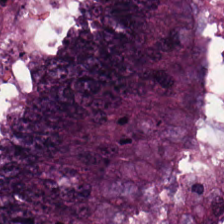Tissue class: tumor epithelium.
